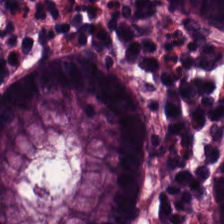0.5 µm per pixel; H&E-stained tissue section — Classification: benign colonic mucosa.
